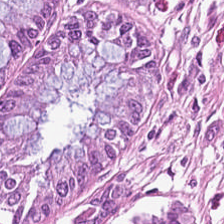Hematoxylin-and-eosin stained section. Formalin-fixed paraffin-embedded section. Histology → normal colonic mucosa.
